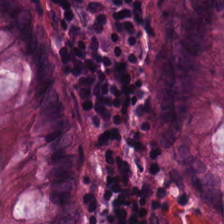H&E; 0.5 microns per pixel; 224×224 px patch — Q: What does this patch show?
A: This is benign colonic mucosa.
